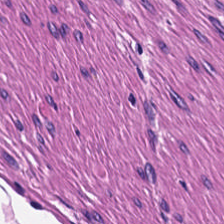0.5 µm per pixel; H&E-stained tissue section; FFPE tissue section.
Smooth-muscle tissue.
